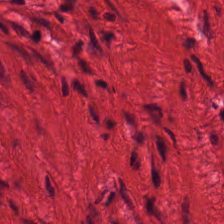H&E-stained tissue section. Q: What tissue type is shown here?
A: Muscularis.
